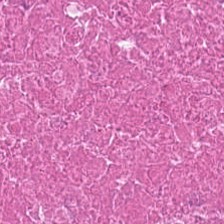Hematoxylin and eosin — Tissue class: necrotic debris.
